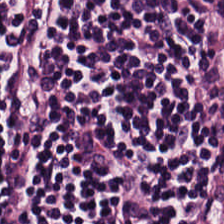Stain: H&E.
Classification: lymphocytes.
